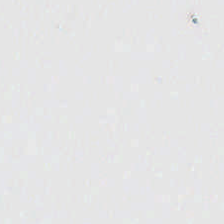Q: What is shown in this field?
A: Empty background.
